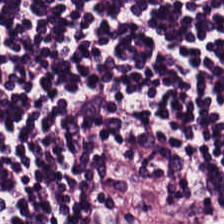This patch shows lymphocytic infiltrate.
